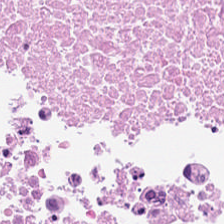Stain: hematoxylin-and-eosin stained section.
Tissue: debris.
